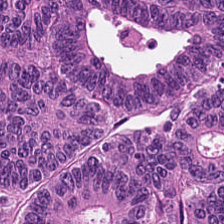Hematoxylin-and-eosin section: malignant epithelium.
